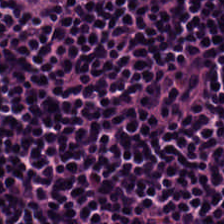Q: What does this patch show?
A: It is lymphocyte aggregate.
